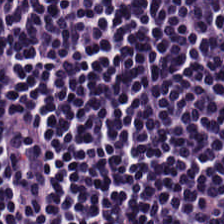H&E-stained tissue section. Showing lymphocytes.
